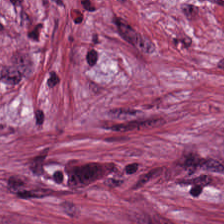Formalin-fixed paraffin-embedded section; hematoxylin and eosin — Tissue type — desmoplastic stroma.
